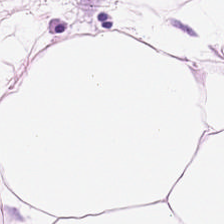This field is fat tissue.
